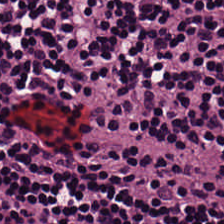H&E stain. The tissue class is lymphocytes.
